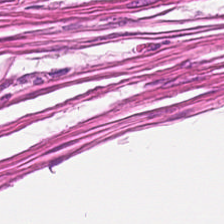Hematoxylin-and-eosin stained section; 224×224 px patch; formalin-fixed paraffin-embedded section — This field is smooth muscle.
